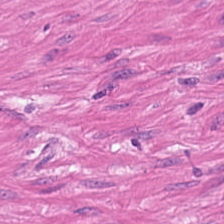H&E. 224×224 pixel tile.
Showing muscularis.
